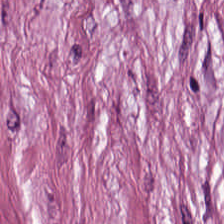H&E; 224×224 px patch — Histology → desmoplastic stroma.
